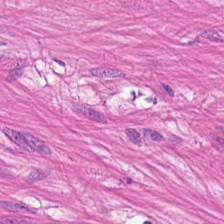This field is smooth muscle.
